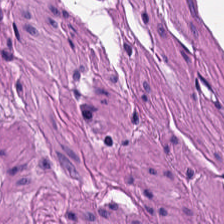H&E-stained tissue section. 224×224 px tile. 0.5 µm/px.
The classification is smooth-muscle tissue.
